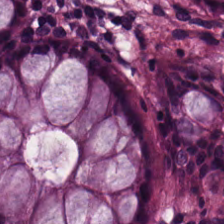Q: What type of tissue is this?
A: This is normal colonic mucosa.
